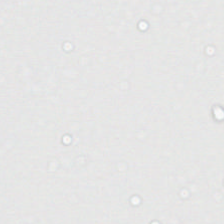H&E-stained tissue section — This field is background (no tissue).
